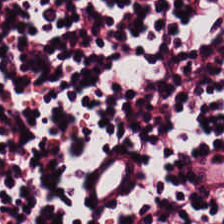H&E; 224×224 px tile; FFPE. Tissue: lymphocyte aggregate.
